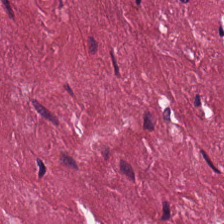Histology → tumor-associated stroma.
